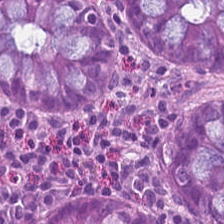Stain: H&E-stained tissue section.
Resolution: 0.5 microns per pixel.
Preparation: formalin-fixed paraffin-embedded section.
Predominant tissue: non-neoplastic colon mucosa.
